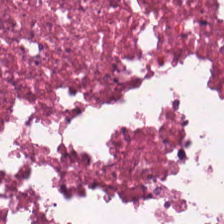Hematoxylin and eosin.
The classification is cellular debris.
